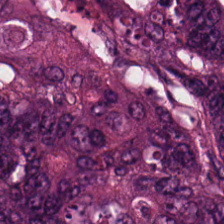H&E; WSI patch; FFPE.
The classification is adenocarcinoma.
